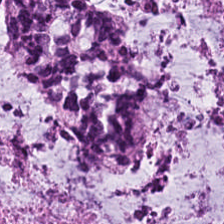H&E stain. The predominant tissue is mucus.
